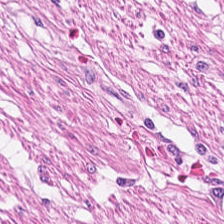WSI patch; H&E stain; FFPE tissue section.
{"tissue_type": "smooth-muscle tissue"}
